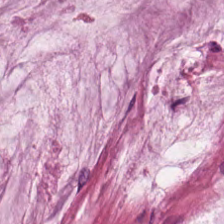Brightfield microscopy · H&E.
Q: What tissue type is shown here?
A: Extracellular mucin.
